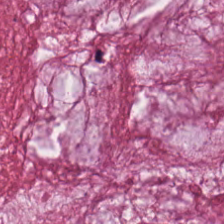224×224 pixel tile; H&E stain; FFPE tissue section.
Tissue class: extracellular mucin.
